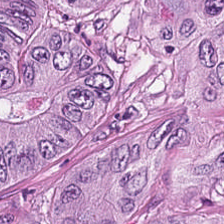H&E stain — Histology — malignant epithelium.
